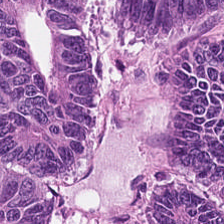Hematoxylin-and-eosin stained section; FFPE; 224×224 px tile.
The tissue class is malignant epithelium.
